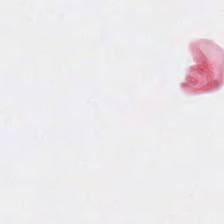Hematoxylin and eosin; FFPE tissue section. Classification: empty background.
